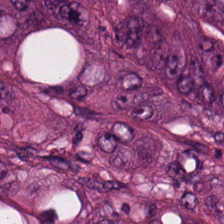H&E; formalin-fixed paraffin-embedded section. Predominantly malignant epithelium.
